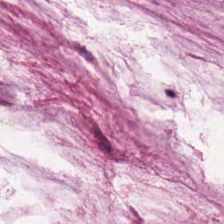The tissue here is mucin.
